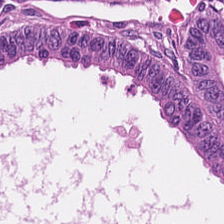Hematoxylin-and-eosin stained section — This patch shows adenocarcinoma.
